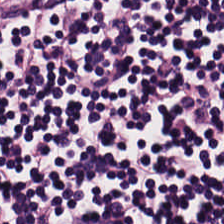Hematoxylin-and-eosin stained section; 224×224 px tile — This field is lymphocytic infiltrate.
